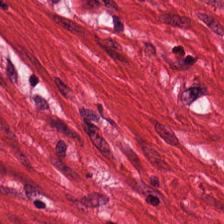224×224 px tile. H&E-stained tissue section.
Q: What is the predominant tissue type?
A: Smooth muscle.
